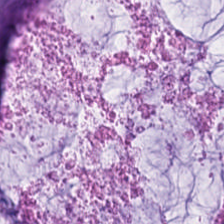Tissue — mucus.
